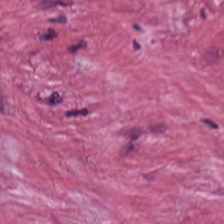0.5 µm per pixel · hematoxylin-and-eosin stained section.
Showing tumor stroma.
